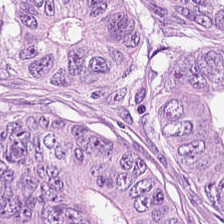H&E stain. Finding → adenocarcinoma.
